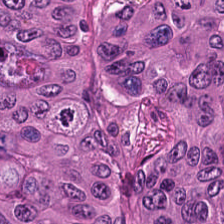FFPE; H&E stain; 20× equivalent magnification — Classification = colorectal adenocarcinoma epithelium.
